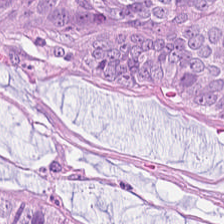224×224 px patch · H&E-stained tissue section · brightfield microscopy. Finding → colorectal adenocarcinoma epithelium.
